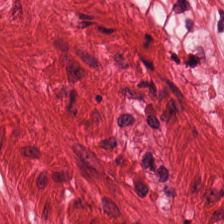Predominant tissue: smooth muscle.
